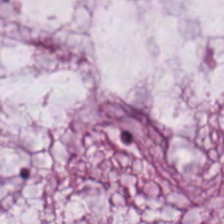FFPE tissue section. H&E-stained tissue section.
The tissue here is mucin.
